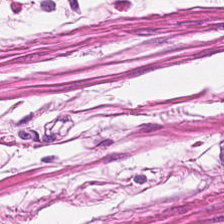FFPE · hematoxylin-and-eosin stained section.
Tissue type: muscularis.
